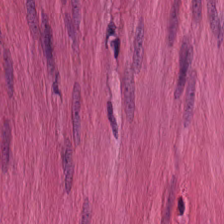Hematoxylin-and-eosin stained section — Q: What is shown in this field?
A: Smooth-muscle tissue.
